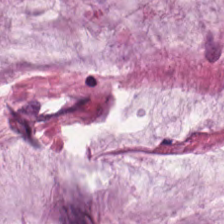H&E-stained tissue section. 224×224 px tile.
The predominant tissue is mucus.
